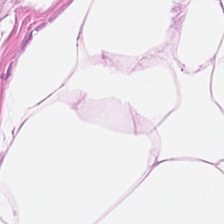20× equivalent magnification; hematoxylin and eosin.
Q: What is shown here?
A: Fat tissue.
